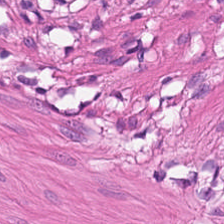H&E-stained tissue section.
This field is smooth muscle.
